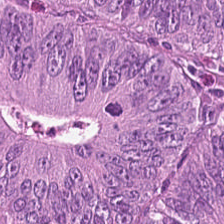Q: What is shown here?
A: It is colorectal adenocarcinoma.
